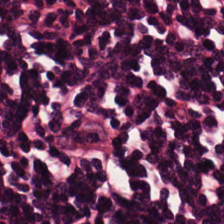0.5 microns per pixel · H&E · whole-slide-image patch — Q: Classify this patch.
A: This is lymphocytic infiltrate.
